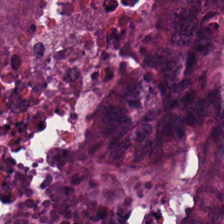FFPE. H&E-stained tissue section. Brightfield — Colorectal adenocarcinoma epithelium.
